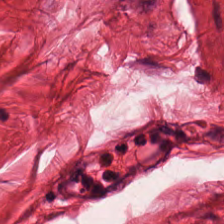Hematoxylin-and-eosin section: smooth-muscle tissue.
